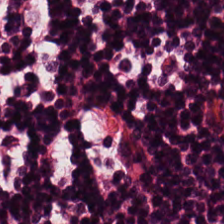Hematoxylin-and-eosin stained section.
Q: What does this patch show?
A: The field shows lymphocyte aggregate.
